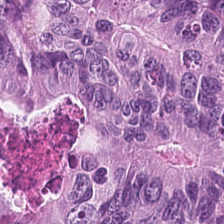Brightfield microscopy; 224×224 px patch; H&E stain.
This patch shows colorectal adenocarcinoma epithelium.
